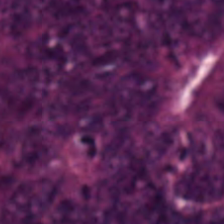224×224 px tile; hematoxylin and eosin — Q: What is shown in this field?
A: It is malignant epithelium.
